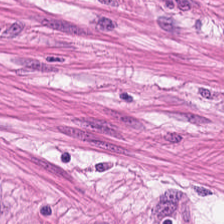H&E stain.
Tissue type = smooth-muscle tissue.
